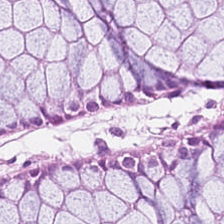H&E stain.
Showing non-neoplastic colon mucosa.
